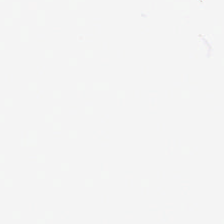Stain: H&E.
Preparation: formalin-fixed paraffin-embedded section.
Acquisition: whole-slide-image patch.
Classification: empty background.
